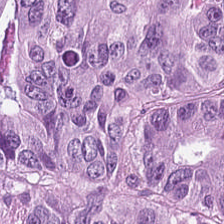20× equivalent magnification · hematoxylin-and-eosin stained section.
Histology — adenocarcinoma.
